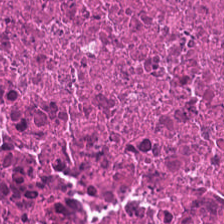H&E stain.
Q: What does this patch show?
A: It is debris.
